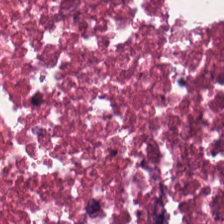H&E. 0.5 microns per pixel. Whole-slide-image patch. The predominant tissue is necrotic debris.
